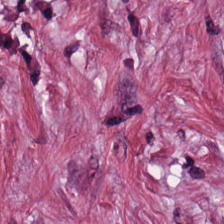Stain: H&E-stained tissue section.
Resolution: 0.5 µm per pixel.
Predominant tissue: tumor stroma.
